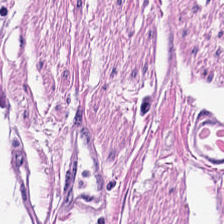20× equivalent magnification · WSI patch · hematoxylin-and-eosin stained section. Q: What tissue is shown?
A: It is smooth muscle.
